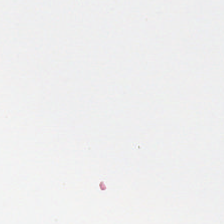Q: Classify this patch.
A: Background (no tissue).
